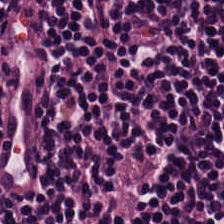H&E stain.
Tissue: lymphocyte aggregate.
